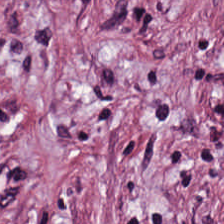Stain: hematoxylin and eosin.
Tissue: cancer-associated stroma.
